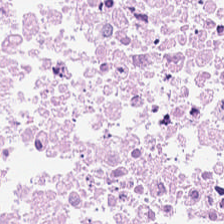H&E stain. 0.5 µm per pixel.
This field is cellular debris.
